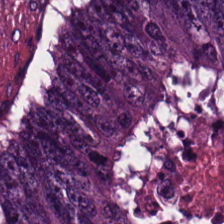Hematoxylin-and-eosin stained section. Predominantly colorectal adenocarcinoma.
